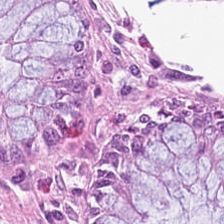224×224 px patch · hematoxylin and eosin — This field is normal colonic mucosa.
